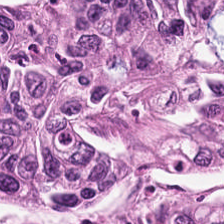H&E.
Tissue class = tumor epithelium.
